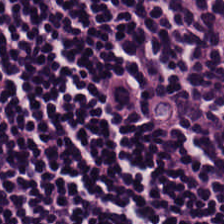H&E-stained section; the field shows lymphoid infiltrate.
